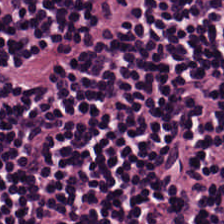WSI patch. Hematoxylin and eosin — The tissue class is lymphoid infiltrate.
